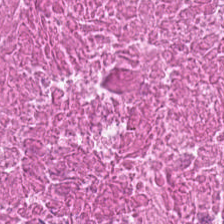H&E stain. Impression — debris.
